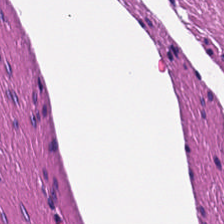H&E-stained tissue section — The classification is smooth-muscle tissue.
